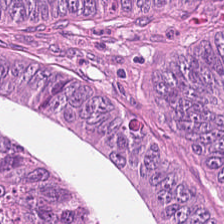Hematoxylin-and-eosin stained section. FFPE tissue section — This patch shows colorectal adenocarcinoma epithelium.
